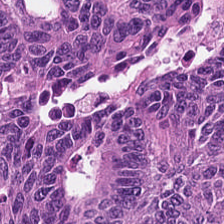H&E-stained tissue section.
Tissue type — colorectal adenocarcinoma.
